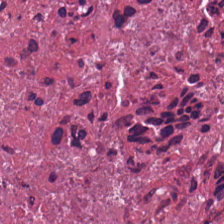Showing necrotic debris.
